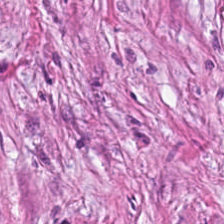Hematoxylin-and-eosin stained section; 0.5 µm/px — Predominant tissue: cancer-associated stroma.
